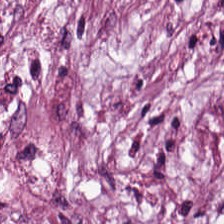H&E · 0.5 microns per pixel — Showing desmoplastic stroma.
